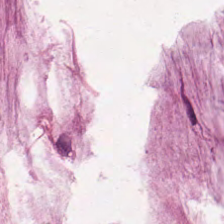Stain: hematoxylin-and-eosin stained section.
Tile size: 224×224 pixel tile.
Tissue class: mucin.
